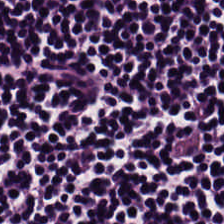224×224 px tile · hematoxylin and eosin — Predominant tissue = lymphocyte aggregate.
